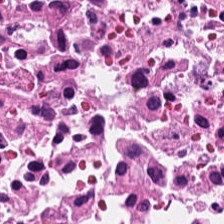WSI patch. H&E. 0.5 µm/px. {"tissue_type": "cellular debris"}
